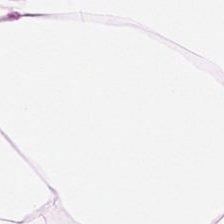H&E stain; FFPE.
Predominant tissue: adipocytes.
